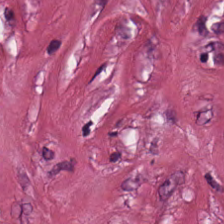Q: Identify the tissue.
A: It is tumor stroma.
